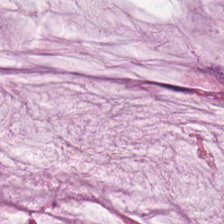Predominant tissue — mucin.
